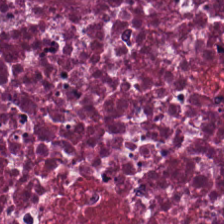0.5 microns per pixel · hematoxylin-and-eosin stained section. Classification = cellular debris.
